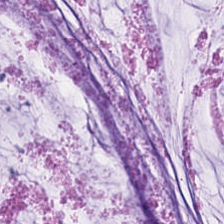H&E · 224×224 px patch · FFPE.
This patch shows mucus.
